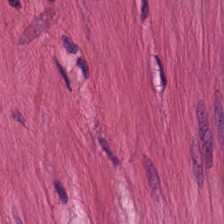H&E-stained tissue section. Tissue = smooth-muscle tissue.
